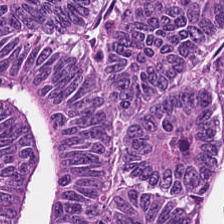Hematoxylin-and-eosin stained section. {"tissue_type": "colorectal adenocarcinoma"}
